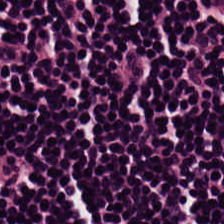20× equivalent magnification · hematoxylin and eosin — Predominant tissue — lymphoid infiltrate.
